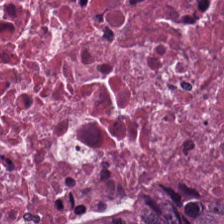Finding → debris.
